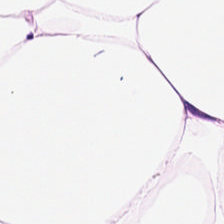Hematoxylin-and-eosin stained section.
Q: Identify the tissue.
A: Adipose tissue.
